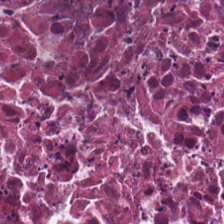This patch shows cellular debris.
